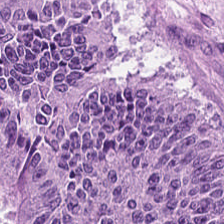Hematoxylin and eosin — {"tissue_type": "adenocarcinoma"}
